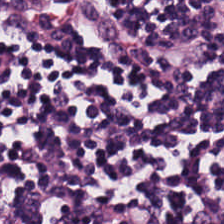Hematoxylin-and-eosin stained section — This patch shows lymphocytes.
